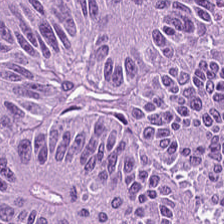Formalin-fixed paraffin-embedded section. Hematoxylin-and-eosin stained section.
The tissue type is colorectal adenocarcinoma.
